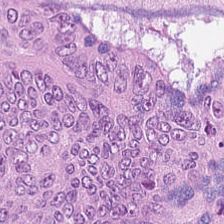Hematoxylin and eosin — Predominantly adenocarcinoma.
